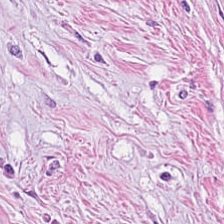H&E. 224×224 px patch. Brightfield microscopy.
The tissue here is desmoplastic stroma.
